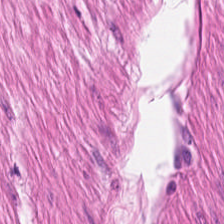224×224 px patch · H&E-stained tissue section.
Q: What tissue is shown?
A: Muscularis.
